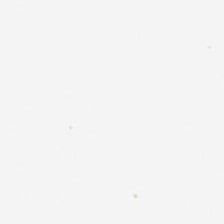H&E; 0.5 microns per pixel — Impression → background.
